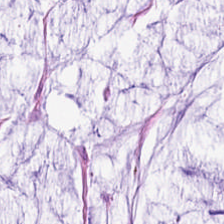H&E stain · FFPE — {"tissue_type": "extracellular mucin"}
